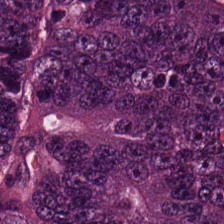Stain: hematoxylin and eosin.
Preparation: FFPE tissue section.
Tissue type: malignant epithelium.
